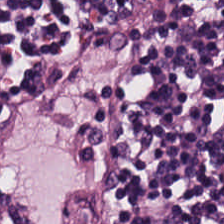Tissue type — lymphocytes.
